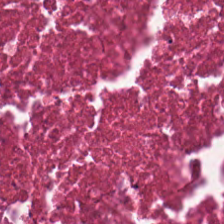Stain: hematoxylin-and-eosin stained section.
Tissue class: debris.
